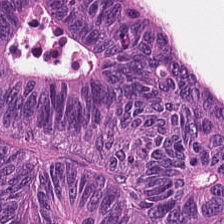Hematoxylin-and-eosin stained section. FFPE tissue section.
Tissue type: adenocarcinoma.
